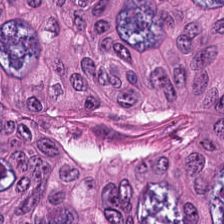H&E stain. Q: What tissue is shown?
A: It is colorectal adenocarcinoma epithelium.
